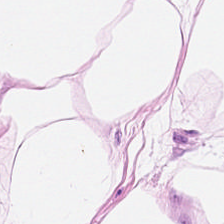Stain: H&E-stained tissue section.
Preparation: formalin-fixed paraffin-embedded section.
Classification: adipocytes.
